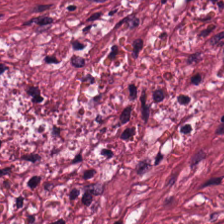H&E stain — The predominant tissue is tumor-associated stroma.
